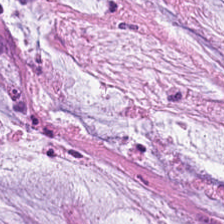This patch shows extracellular mucin.
